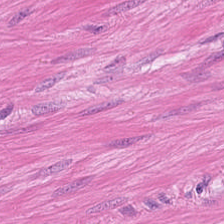Hematoxylin-and-eosin stained section — Muscularis.
